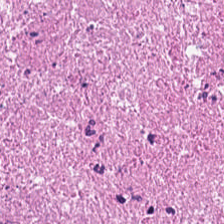20× equivalent magnification. Hematoxylin-and-eosin stained section. Whole-slide-image patch — Predominantly debris.
